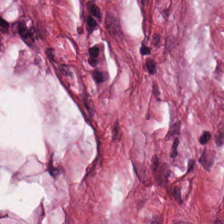Stain: hematoxylin-and-eosin stained section.
Acquisition: whole-slide-image patch.
Predominant tissue: cancer-associated stroma.
